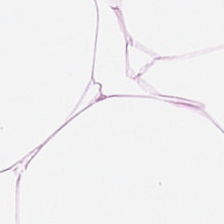H&E-stained tissue section.
Q: What is the predominant tissue type?
A: This is adipocytes.
